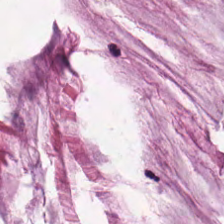Hematoxylin and eosin · 20× equivalent magnification — Tissue: mucin.
